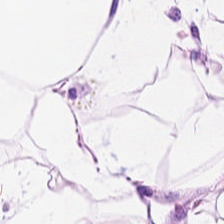Hematoxylin-and-eosin stained section — Q: Identify the tissue.
A: It is fat tissue.
